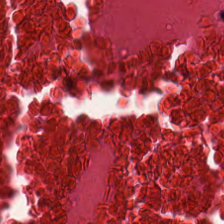H&E stain. 224×224 px patch.
Predominant tissue: cellular debris.
